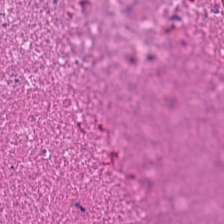H&E-stained tissue section. FFPE tissue section. Showing necrotic debris.
